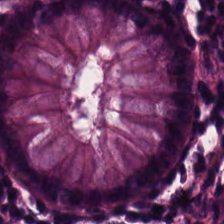H&E.
Showing normal colon mucosa.
